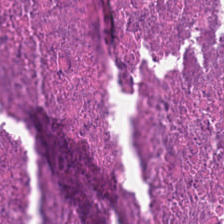The tissue here is debris.
